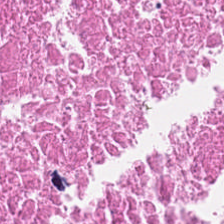H&E. Impression — debris.
